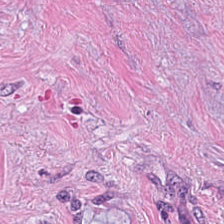0.5 µm/px · hematoxylin-and-eosin stained section · 224×224 px tile. Predominantly tumor-associated stroma.
